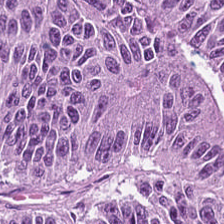The predominant tissue is colorectal adenocarcinoma.
